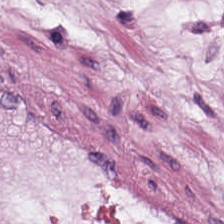Q: Identify the tissue.
A: The field shows adipose tissue.
